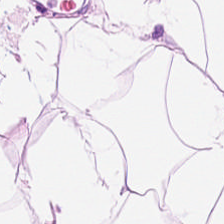H&E stain. The tissue here is adipose.
